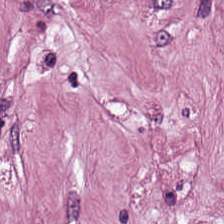H&E patch showing tumor-associated stroma.
